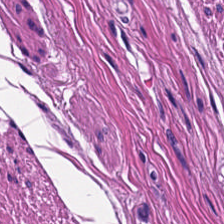H&E.
Smooth-muscle tissue.
